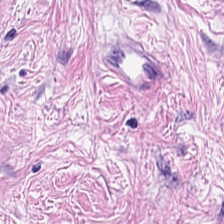Hematoxylin and eosin — Q: Identify the tissue.
A: It is cancer-associated stroma.
